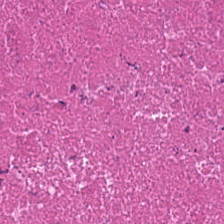H&E · FFPE.
This patch shows cellular debris.
